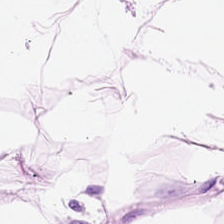Hematoxylin-and-eosin stained section.
Predominantly adipose.
